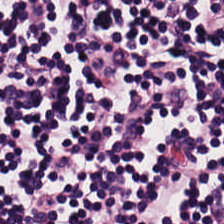Stain: hematoxylin and eosin.
Tissue: lymphocytic infiltrate.
